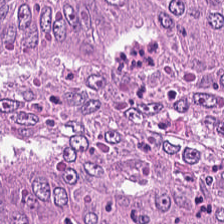Hematoxylin and eosin — Finding → adenocarcinoma.
